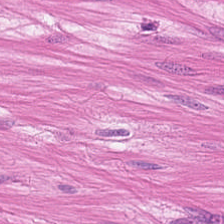H&E-stained tissue section — This patch shows muscularis.
